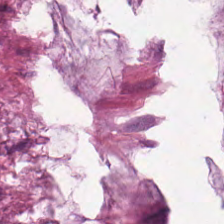FFPE · hematoxylin and eosin.
{"tissue_type": "mucus"}
